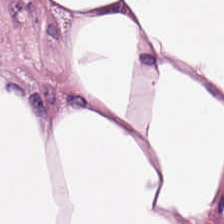Hematoxylin and eosin.
Predominantly adipose.
